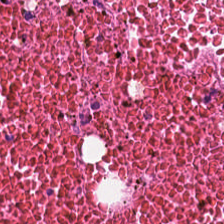Tissue: necrotic debris.
